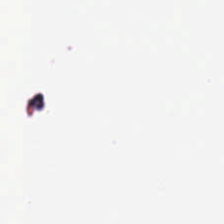H&E-stained tissue section. 20× equivalent magnification. Field content — no tissue.
